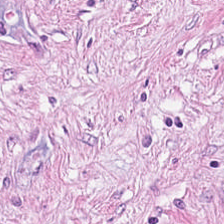H&E — Predominantly tumor-associated stroma.
